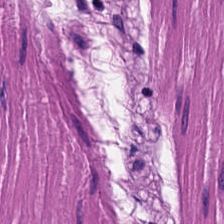FFPE tissue section. Brightfield microscopy. Hematoxylin-and-eosin stained section.
Q: What is shown in this field?
A: It is smooth muscle.
